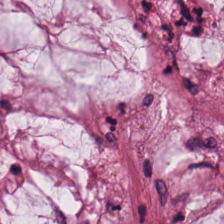Stain: hematoxylin and eosin.
Classification: mucin.
